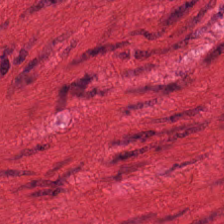Hematoxylin and eosin. Histology → smooth-muscle tissue.
